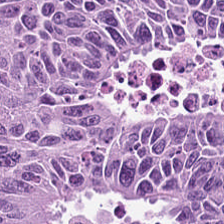H&E-stained tissue section.
Tissue type — tumor epithelium.
